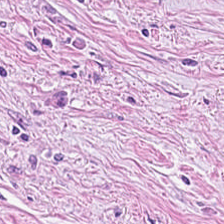H&E.
Tissue class: tumor-associated stroma.
